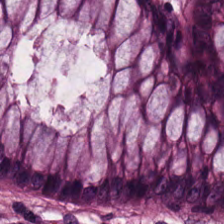H&E.
Predominantly benign colonic mucosa.
